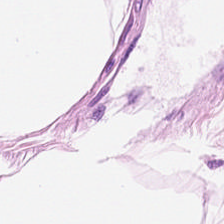FFPE · H&E.
{"tissue_type": "adipocytes"}
